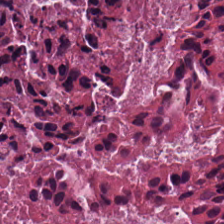0.5 µm/px; brightfield microscopy; hematoxylin-and-eosin stained section — This field is debris.
